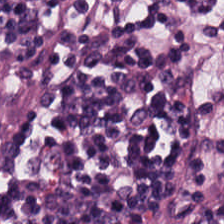Stain: H&E stain.
Tile size: 224×224 px tile.
Preparation: formalin-fixed paraffin-embedded section.
Classification: lymphoid infiltrate.
